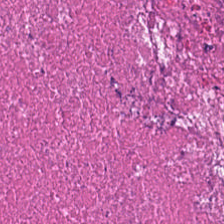H&E stain — Q: Classify this patch.
A: This is cellular debris.
